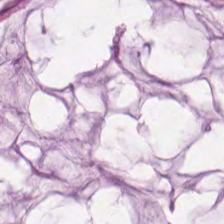Stain: H&E stain.
Resolution: 0.5 µm/px.
Tissue: mucin.
